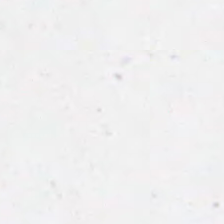Hematoxylin and eosin. This field is background (no tissue).
